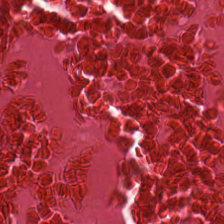Brightfield; H&E-stained tissue section — The tissue here is necrotic debris.
